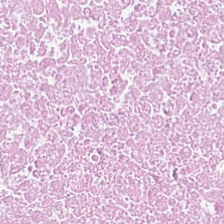FFPE; H&E stain; brightfield microscopy — Classification: debris.
